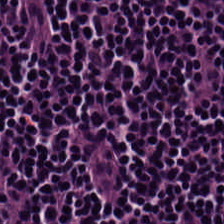Histology — lymphoid infiltrate.
